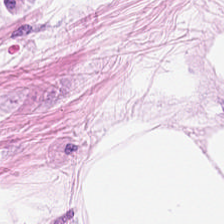H&E patch showing adipocytes.
